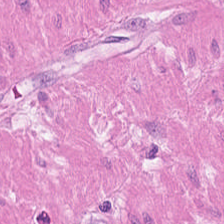{"tissue_type": "smooth muscle"}
